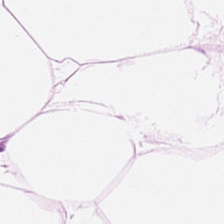Whole-slide-image patch · H&E. Q: Classify this patch.
A: It is adipose.
